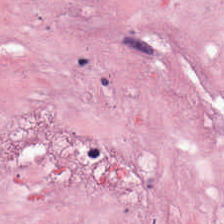H&E-stained tissue section; 0.5 µm per pixel; brightfield.
This patch shows desmoplastic stroma.
